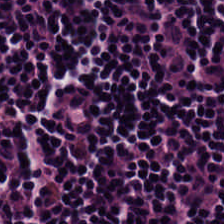H&E-stained tissue section — Q: Identify the tissue.
A: The field shows lymphocytic infiltrate.
